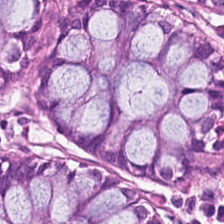Q: What tissue type is shown here?
A: It is non-neoplastic colon mucosa.
